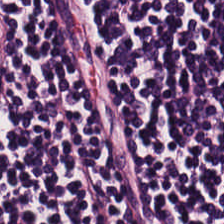{"tissue_type": "lymphoid infiltrate"}
